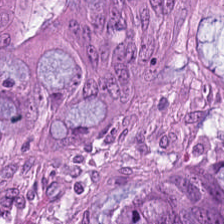FFPE; H&E-stained tissue section; brightfield microscopy.
The tissue is colorectal adenocarcinoma.
